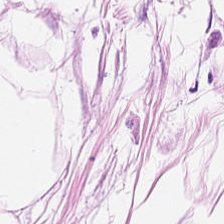{"tissue_type": "adipocytes"}
